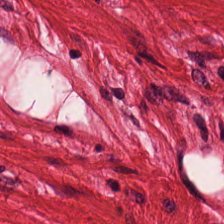H&E stain. Formalin-fixed paraffin-embedded section — This patch shows muscularis.
